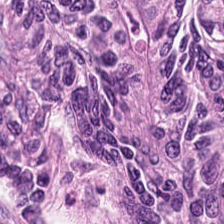H&E patch showing colorectal adenocarcinoma epithelium.
